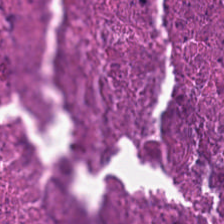Hematoxylin and eosin · 20× equivalent magnification. Necrotic debris.
